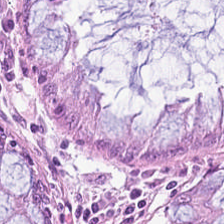Hematoxylin and eosin. Q: What tissue is shown?
A: It is benign colonic mucosa.
